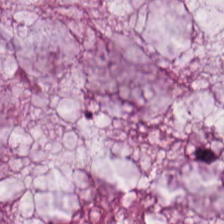H&E-stained section; the field shows mucus.
